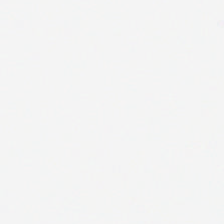H&E-stained tissue section; brightfield microscopy; 0.5 microns per pixel — Impression → no tissue.
